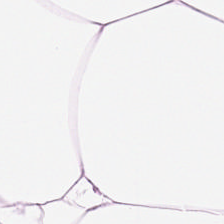H&E-stained tissue section; 224×224 pixel tile.
Predominantly adipose.
